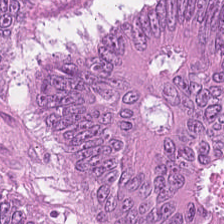H&E-stained tissue section.
Q: What does this patch show?
A: Adenocarcinoma.
